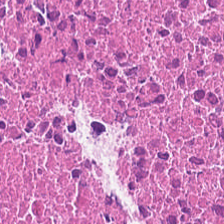Hematoxylin-and-eosin stained section. The predominant tissue is necrotic debris.
